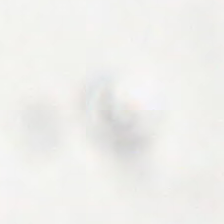WSI patch. Hematoxylin and eosin — Background — no tissue in this field.
